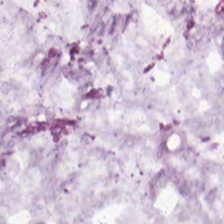H&E. Classification — mucus.
